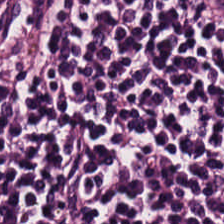H&E-stained tissue section. Classification = lymphocytes.
